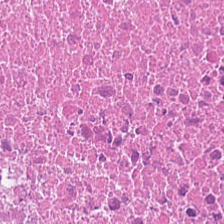Showing debris.
